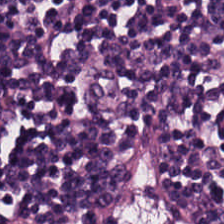H&E-stained tissue section; 224×224 pixel tile.
Lymphocytic infiltrate.
